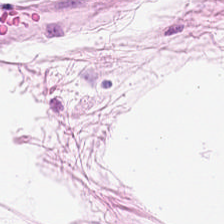H&E; 0.5 microns per pixel — The classification is fat tissue.
